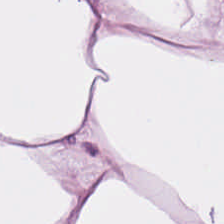Hematoxylin and eosin.
Finding — adipocytes.
